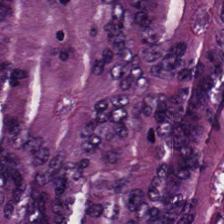Brightfield microscopy. 224×224 pixel tile. H&E stain — Predominantly colorectal adenocarcinoma.
